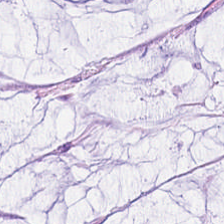H&E-stained tissue section. 0.5 microns per pixel.
Mucin.
